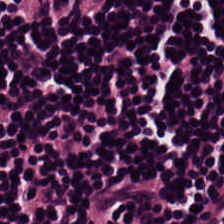224×224 px tile. H&E. FFPE. Tissue = lymphocyte aggregate.
